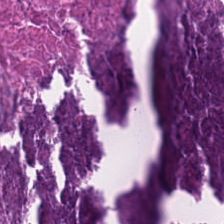H&E; 0.5 µm per pixel.
Q: What does this patch show?
A: It is necrotic debris.
